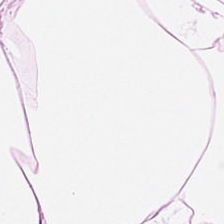Q: Identify the tissue.
A: The field shows fat tissue.
